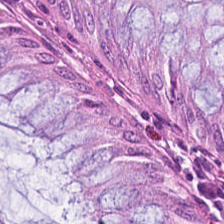Stain: H&E.
Tissue type: normal colon mucosa.
